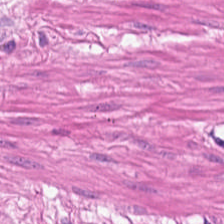FFPE tissue section. H&E-stained tissue section — The tissue is smooth-muscle tissue.
